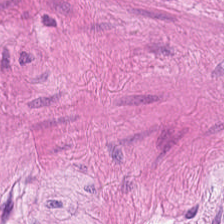Hematoxylin-and-eosin stained section — Predominantly muscularis.
